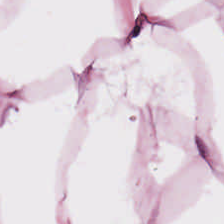{"tissue_type": "adipose"}
